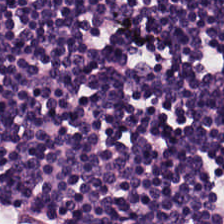Hematoxylin-and-eosin stained section.
Lymphocytic infiltrate.
